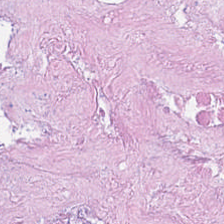H&E-stained tissue section. Formalin-fixed paraffin-embedded section. Whole-slide-image patch.
Predominantly necrotic debris.
